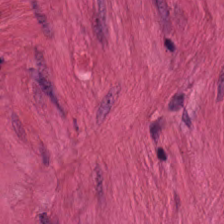Q: Identify the tissue.
A: The field shows smooth muscle.
